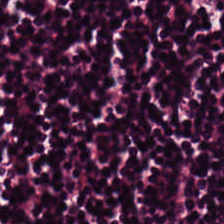Hematoxylin-and-eosin stained section · 0.5 µm/px.
This patch shows lymphocytes.
